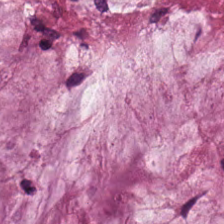Impression — mucus.
